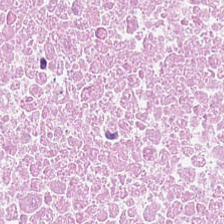H&E-stained tissue section. Impression — debris.
